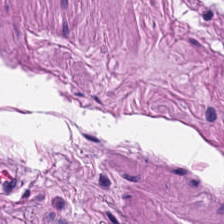FFPE tissue section · hematoxylin and eosin. Showing smooth-muscle tissue.
